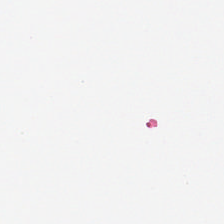Q: What does this patch show?
A: It is empty background.
